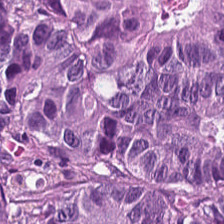0.5 µm/px; H&E; brightfield.
The predominant tissue is colorectal adenocarcinoma epithelium.
